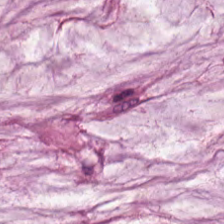224×224 pixel tile; H&E-stained tissue section. Tissue class = mucin.
